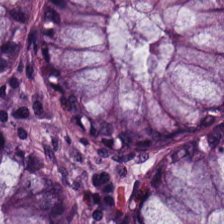Hematoxylin-and-eosin stained section — The tissue here is normal colonic mucosa.
